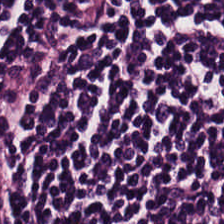Hematoxylin and eosin; formalin-fixed paraffin-embedded section — The classification is lymphoid infiltrate.
